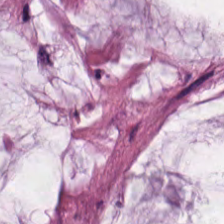0.5 microns per pixel; formalin-fixed paraffin-embedded section; H&E stain. {"tissue_type": "mucin"}
